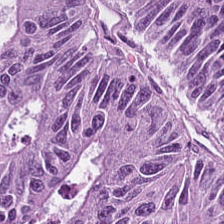FFPE · H&E.
The predominant tissue is malignant epithelium.
